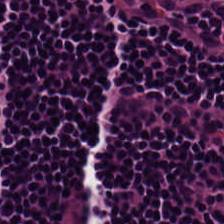Whole-slide-image patch. Hematoxylin and eosin. 224×224 px patch — Showing lymphocytic infiltrate.
